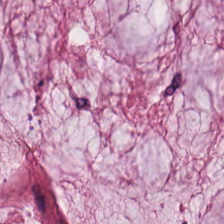Formalin-fixed paraffin-embedded section; 0.5 µm/px; hematoxylin and eosin. The predominant tissue is extracellular mucin.
